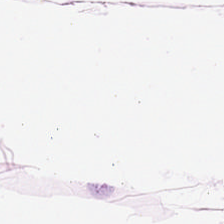Hematoxylin-and-eosin stained section. Adipose.
